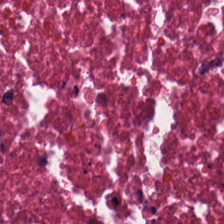Hematoxylin-and-eosin stained section · 0.5 µm per pixel. {"tissue_type": "necrotic debris"}
